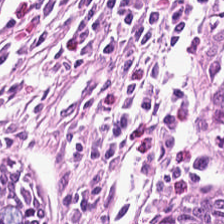Stain: H&E stain.
Predominant tissue: normal colon mucosa.
